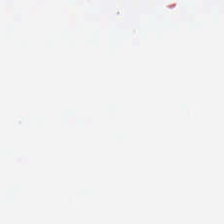Field content — no tissue.
